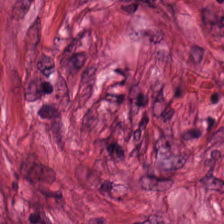Q: What type of tissue is this?
A: It is desmoplastic stroma.
